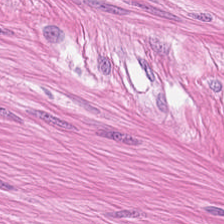Hematoxylin and eosin — Predominantly smooth muscle.
